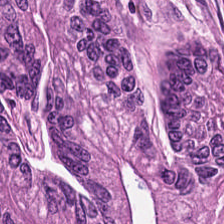Q: What tissue is shown?
A: Malignant epithelium.
